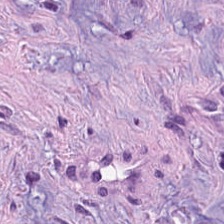Hematoxylin and eosin. Q: What type of tissue is this?
A: This is cancer-associated stroma.
